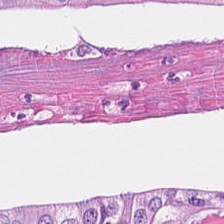Stain: H&E stain.
Tissue: tumor epithelium.
